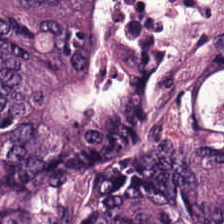H&E stain — Tissue type = tumor epithelium.
